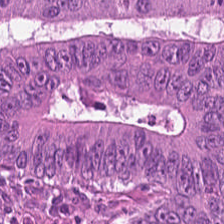Tissue class = tumor epithelium.
